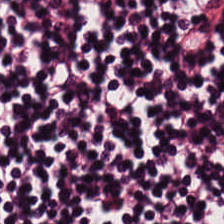Hematoxylin-and-eosin section: lymphocytes.
